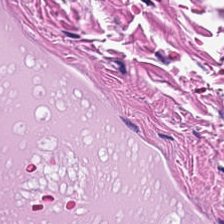H&E stain — Tissue = muscularis.
